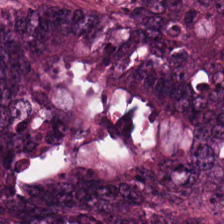Hematoxylin-and-eosin stained section. The tissue here is colorectal adenocarcinoma epithelium.
